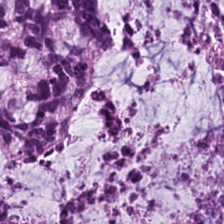Formalin-fixed paraffin-embedded section; hematoxylin-and-eosin stained section; 0.5 µm per pixel.
Histology → mucin.
